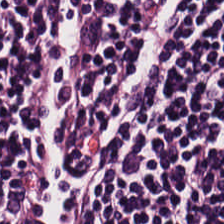Formalin-fixed paraffin-embedded section; H&E-stained tissue section — The tissue here is lymphocytic infiltrate.
